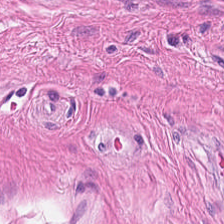Whole-slide-image patch. H&E — {"tissue_type": "smooth-muscle tissue"}
